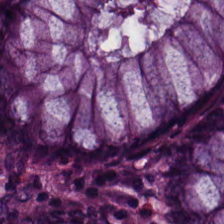Q: What is the predominant tissue type?
A: Normal colon mucosa.
